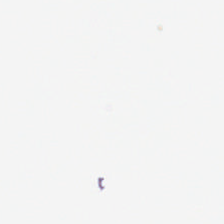H&E-stained tissue section.
Q: What is shown here?
A: This is background.
